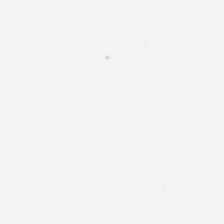224×224 px patch. 0.5 µm/px. H&E — {"content": "background (no tissue)"}
